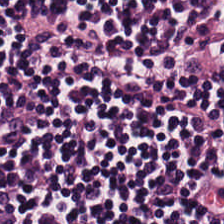224×224 px patch · hematoxylin-and-eosin stained section.
Finding — lymphocytes.
